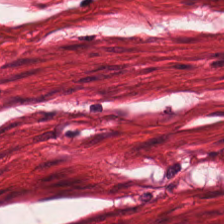H&E-stained tissue section. Smooth-muscle tissue.
